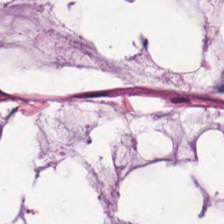Stain: H&E stain.
Tissue class: mucus.
